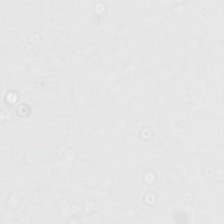224×224 pixel tile. H&E stain. Background.
